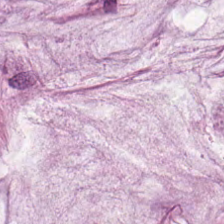H&E-stained tissue section. Q: Classify this patch.
A: This is mucin.
